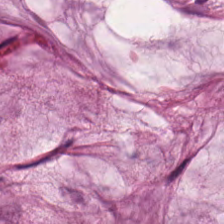Stain: H&E.
Resolution: 0.5 microns per pixel.
Tile size: 224×224 px patch.
Tissue: mucin.
